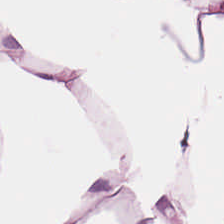Q: What does this patch show?
A: This is adipose tissue.
